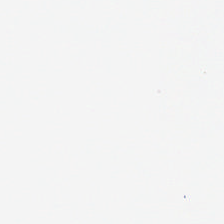No tissue present; background only.
